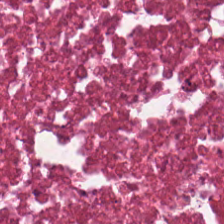Hematoxylin and eosin. Predominantly necrotic debris.
